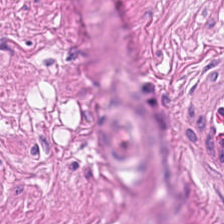H&E stain — {"tissue_type": "smooth muscle"}
